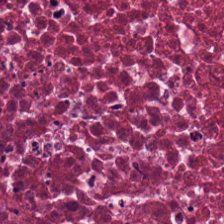224×224 px tile; H&E.
Tissue type = debris.
